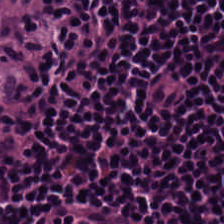H&E stain — Histology — lymphocytes.
